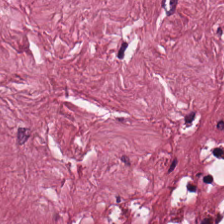Q: What does this patch show?
A: This is cancer-associated stroma.
